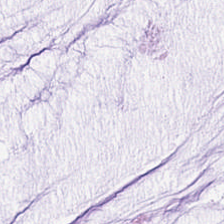The predominant tissue is mucin.
